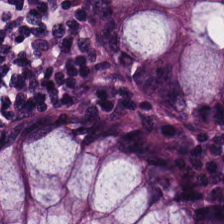Histology — normal colon mucosa.
